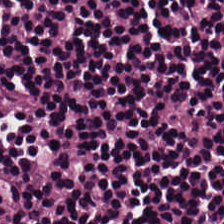Hematoxylin-and-eosin stained section. 0.5 µm/px. FFPE tissue section. The classification is lymphoid infiltrate.
